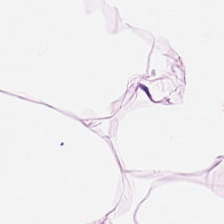H&E — Tissue type: adipose tissue.
